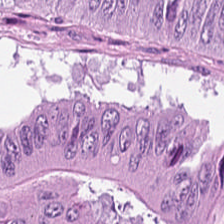Finding — colorectal adenocarcinoma epithelium.
